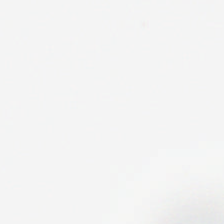Hematoxylin-and-eosin stained section. Brightfield. 224×224 px patch. No tissue present; background only.
